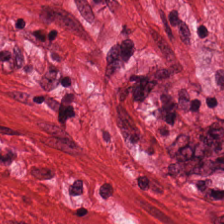Hematoxylin-and-eosin stained section.
Q: What is shown here?
A: This is smooth muscle.
